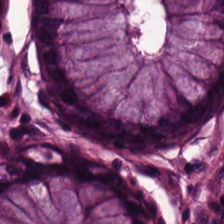FFPE · H&E stain.
Q: What is the predominant tissue type?
A: The field shows benign colonic mucosa.
